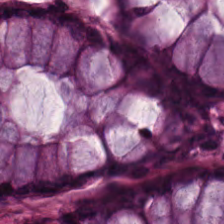Impression — benign colonic mucosa.
